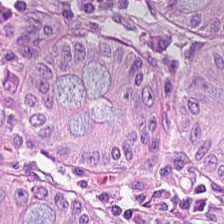Hematoxylin and eosin · 224×224 px patch. {"tissue_type": "benign colonic mucosa"}
